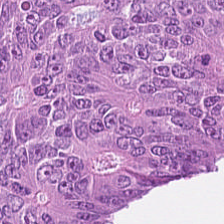Showing adenocarcinoma.
